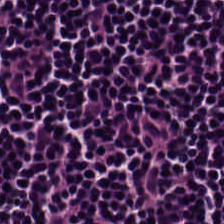WSI patch. H&E stain. Predominant tissue — lymphocytic infiltrate.
